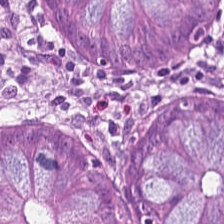H&E-stained tissue section. 224×224 px patch — Normal colonic mucosa.
